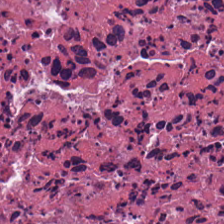0.5 µm/px · H&E.
Showing debris.
